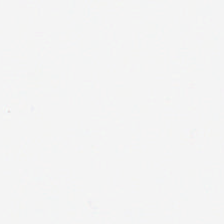Stain: H&E-stained tissue section.
Tile size: 224×224 px patch.
Field content: no tissue.
